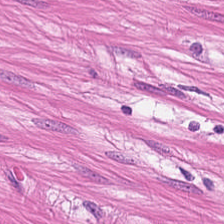H&E.
Finding → muscularis.
